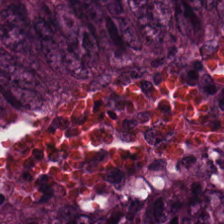Hematoxylin-and-eosin stained section · FFPE.
The tissue type is malignant epithelium.
